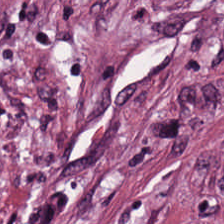Hematoxylin and eosin. Tissue class = desmoplastic stroma.
